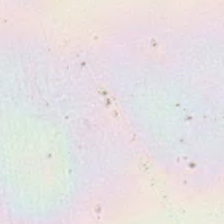Hematoxylin and eosin. Formalin-fixed paraffin-embedded section — This patch shows background (no tissue).
